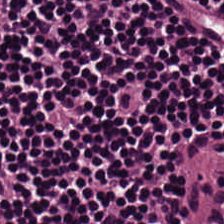Tissue — lymphocytes.
